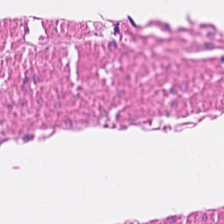Hematoxylin-and-eosin stained section; WSI patch.
This patch shows smooth-muscle tissue.
